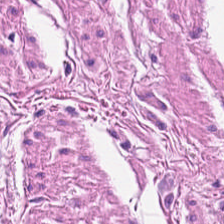Hematoxylin-and-eosin stained section; brightfield; FFPE — This patch shows smooth-muscle tissue.
